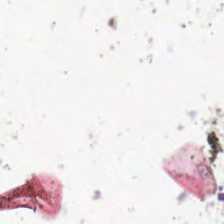Impression — no tissue.
